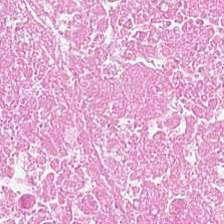Stain: H&E.
Tissue class: necrotic debris.
